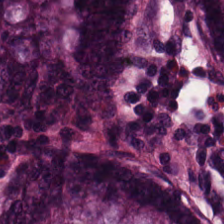H&E stain · FFPE. Q: Classify this patch.
A: This is benign colonic mucosa.
